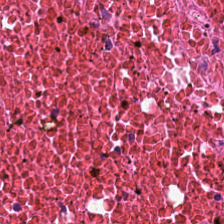Hematoxylin-and-eosin stained section; FFPE. Impression → necrotic debris.
